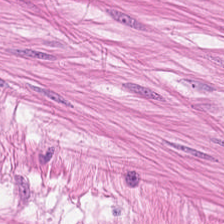FFPE; hematoxylin and eosin.
Smooth-muscle tissue.
